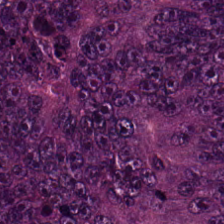Stain: hematoxylin-and-eosin stained section.
Acquisition: brightfield microscopy.
Predominant tissue: colorectal adenocarcinoma.
